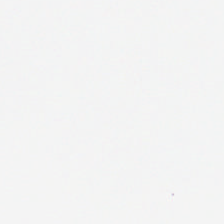Hematoxylin and eosin. The content is empty background.
